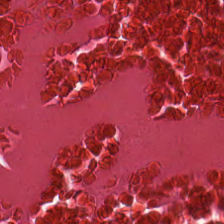H&E-stained tissue section.
The tissue type is debris.
